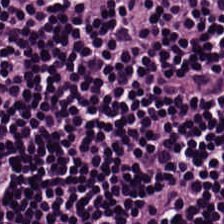Lymphocyte aggregate.
